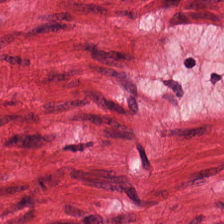0.5 µm/px. Hematoxylin-and-eosin stained section.
Predominantly muscularis.
